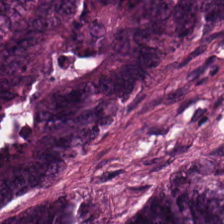Stain: hematoxylin and eosin.
Preparation: FFPE tissue section.
Tissue type: malignant epithelium.
